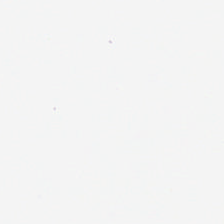Stain: H&E-stained tissue section.
Preparation: FFPE.
Field content: background.
